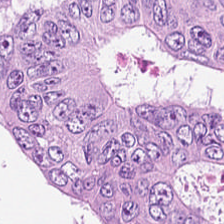Classification: colorectal adenocarcinoma epithelium.
